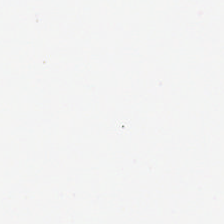Hematoxylin and eosin · 0.5 µm per pixel. Empty field — empty background.
